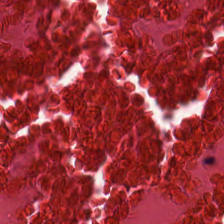H&E-stained tissue section. 20× equivalent magnification. Predominantly cellular debris.
